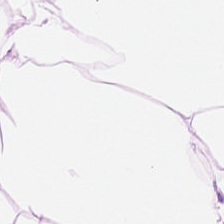H&E.
Showing adipose tissue.
